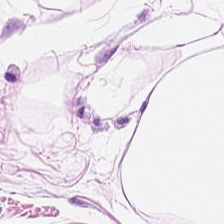Finding — adipocytes.
